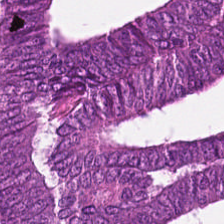Hematoxylin-and-eosin stained section. Histology — colorectal adenocarcinoma epithelium.
